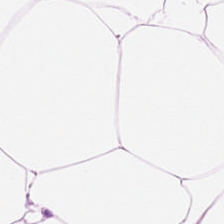FFPE tissue section · brightfield microscopy · H&E-stained tissue section.
Histology — adipose tissue.
